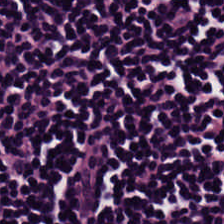FFPE; 224×224 px tile; H&E-stained tissue section.
Lymphocytes.
